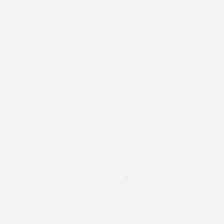Empty field — no tissue.
